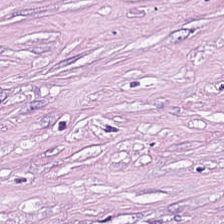The predominant tissue is tumor-associated stroma.
